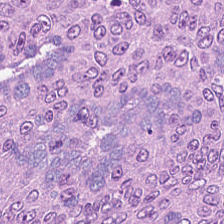H&E. WSI patch.
Finding — colorectal adenocarcinoma.
